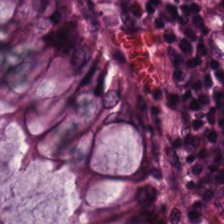Histology — normal colonic mucosa.
